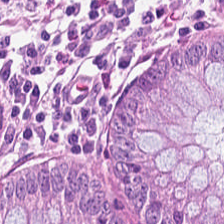Finding → normal colon mucosa.
